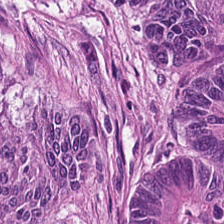H&E stain. 0.5 µm/px. FFPE tissue section — The tissue here is malignant epithelium.
